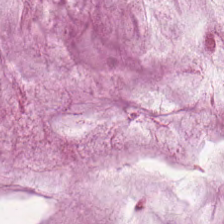Brightfield · H&E stain — Q: What is shown here?
A: The field shows mucus.
